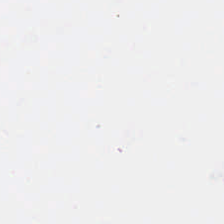This field is background (no tissue).
